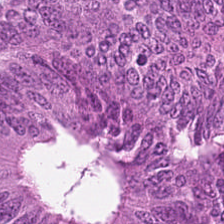H&E-stained tissue section. Tissue class = colorectal adenocarcinoma.
